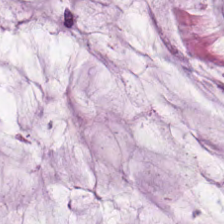H&E stain — Histology — mucin.
